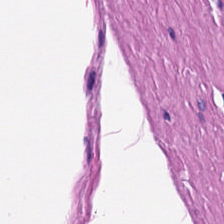Brightfield microscopy · formalin-fixed paraffin-embedded section · H&E — Q: What tissue type is shown here?
A: It is muscularis.
